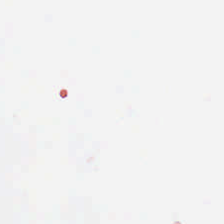Q: What does this patch show?
A: The field shows no tissue.
